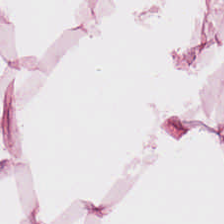FFPE · brightfield microscopy · hematoxylin and eosin.
The tissue here is adipocytes.
